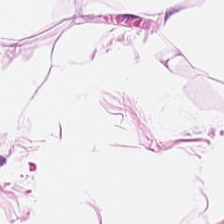0.5 µm/px · hematoxylin-and-eosin stained section · 224×224 px tile.
Predominantly adipose tissue.
